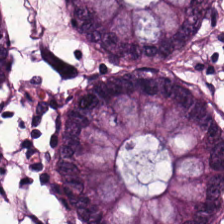H&E-stained tissue section.
The predominant tissue is normal colon mucosa.
